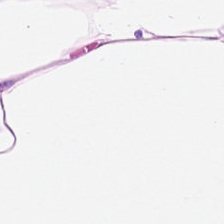H&E. Fat tissue.
